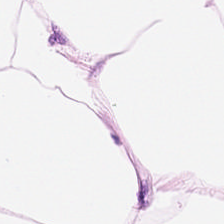Adipose.
